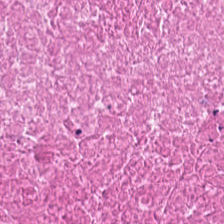Hematoxylin-and-eosin stained section. 0.5 microns per pixel — This patch shows debris.
